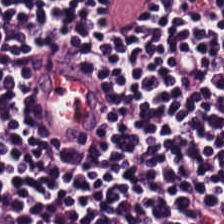Hematoxylin-and-eosin stained section — The tissue here is lymphocyte aggregate.
